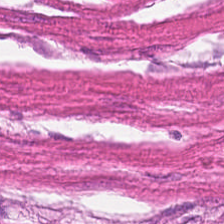Q: Identify the tissue.
A: Muscularis.
